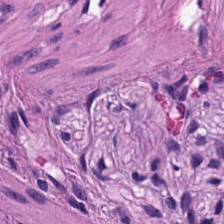Hematoxylin-and-eosin stained section — This field is smooth muscle.
